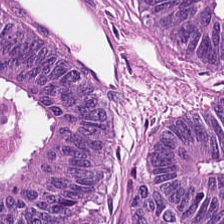H&E stain.
{"tissue_type": "colorectal adenocarcinoma"}
